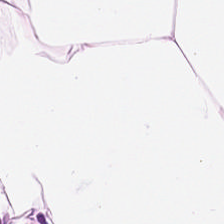0.5 microns per pixel; H&E-stained tissue section; FFPE tissue section — Predominantly adipocytes.
